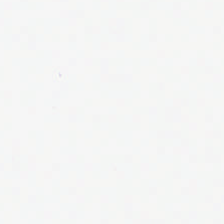Brightfield · H&E.
Finding → background (no tissue).
